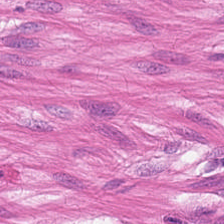The tissue here is smooth muscle.
